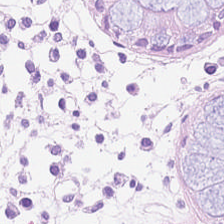Hematoxylin-and-eosin stained section. This field is non-neoplastic colon mucosa.
